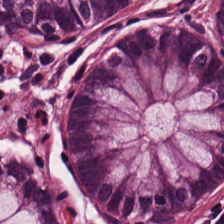H&E-stained tissue section — {"tissue_type": "non-neoplastic colon mucosa"}
